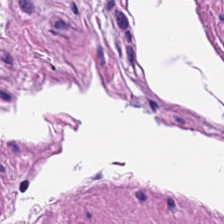224×224 pixel tile · whole-slide-image patch · H&E.
Showing muscularis.
